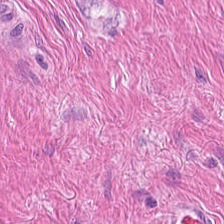Muscularis.
